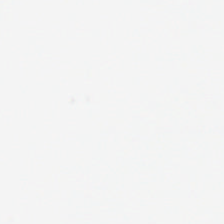{"content": "background"}
